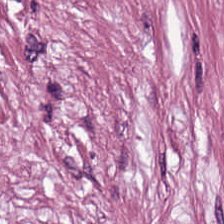H&E.
The tissue here is cancer-associated stroma.
